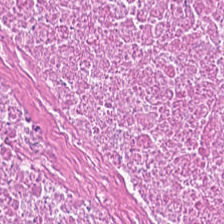Formalin-fixed paraffin-embedded section. H&E-stained tissue section. 224×224 px tile.
Tissue class = cellular debris.
